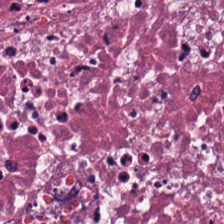224×224 px patch; H&E.
The predominant tissue is cellular debris.
